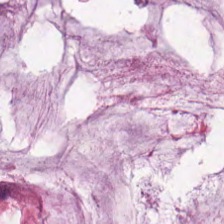Hematoxylin and eosin.
{"tissue_type": "mucus"}
